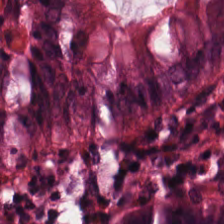Stain: hematoxylin-and-eosin stained section.
Predominant tissue: normal colon mucosa.
